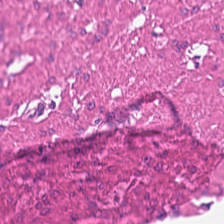H&E stain — The predominant tissue is smooth muscle.
